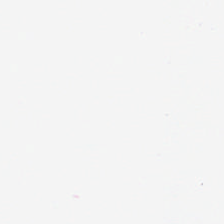Stain: H&E-stained tissue section.
Acquisition: whole-slide-image patch.
Content: empty background.
